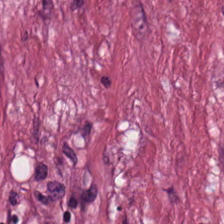20× equivalent magnification. FFPE. H&E — {"tissue_type": "desmoplastic stroma"}
